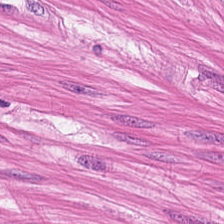Showing smooth-muscle tissue.
